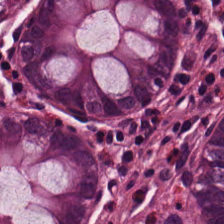224×224 px patch. Hematoxylin and eosin. Brightfield.
Q: Classify this patch.
A: It is benign colonic mucosa.
